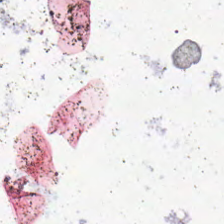Hematoxylin-and-eosin stained section · 0.5 µm per pixel. Field content — background.
